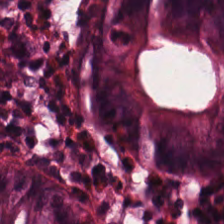H&E stain.
{"tissue_type": "benign colonic mucosa"}
